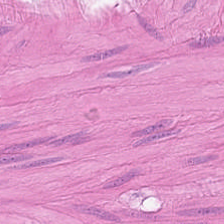224×224 pixel tile. H&E — This patch shows smooth muscle.
